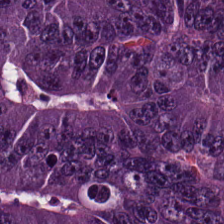Stain: H&E-stained tissue section.
Tissue class: malignant epithelium.
